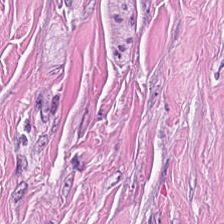H&E-stained tissue section · 20× equivalent magnification. Tissue type — cancer-associated stroma.
